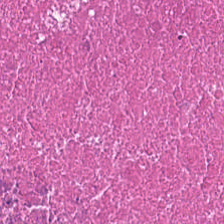Tissue type — necrotic debris.
